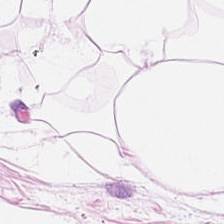Brightfield microscopy; H&E-stained tissue section.
Q: Identify the tissue.
A: This is fat tissue.
